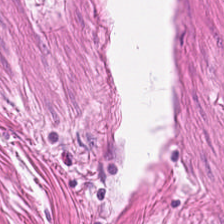H&E stain — Finding → smooth-muscle tissue.
